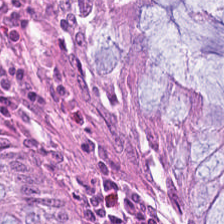224×224 px tile. H&E-stained tissue section — Predominantly non-neoplastic colon mucosa.
